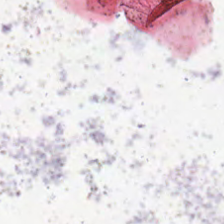Hematoxylin and eosin — Field content — empty background.
